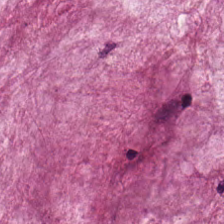The tissue class is mucin.
